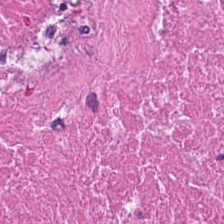H&E-stained tissue section — This field is debris.
